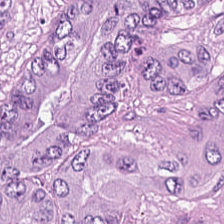H&E stain · WSI patch. Tumor epithelium.
